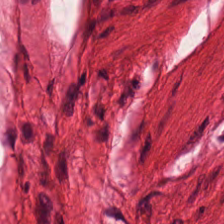Hematoxylin-and-eosin stained section; FFPE; 224×224 px tile. Q: What is the predominant tissue type?
A: This is smooth muscle.
